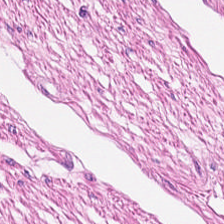{"tissue_type": "muscularis"}
